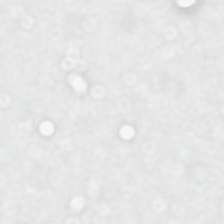Hematoxylin-and-eosin stained section. Content: no tissue.
